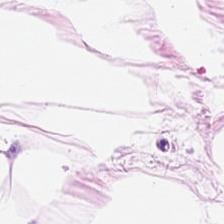The tissue is adipose.
